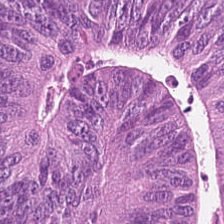Stain: H&E stain.
Tissue class: adenocarcinoma.
